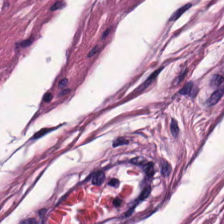Tissue type: smooth muscle.
